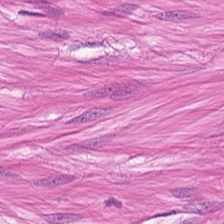224×224 pixel tile. 20× equivalent magnification. H&E.
Predominant tissue = smooth muscle.
